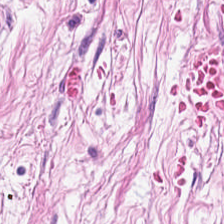Hematoxylin and eosin. WSI patch — Desmoplastic stroma.
